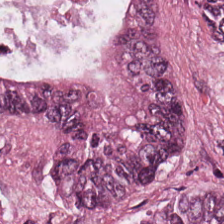H&E.
Q: What is shown in this field?
A: It is adenocarcinoma.
